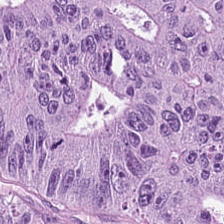Formalin-fixed paraffin-embedded section; hematoxylin and eosin; WSI patch.
Impression — adenocarcinoma.
